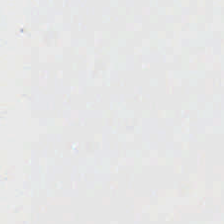H&E-stained tissue section; FFPE; 224×224 pixel tile. Field content = background.
